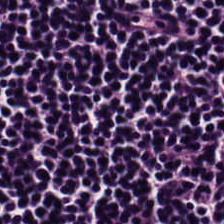Stain: H&E stain.
Tissue class: lymphoid infiltrate.
